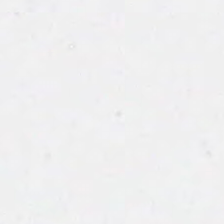Hematoxylin-and-eosin stained section — The field content is background (no tissue).
